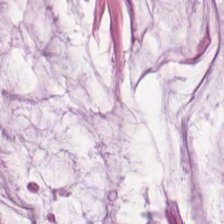H&E stain — Mucin.
